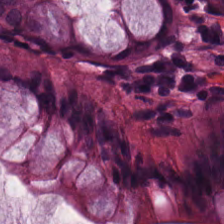H&E.
Tissue — benign colonic mucosa.
